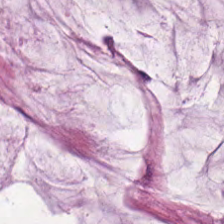Hematoxylin-and-eosin stained section · formalin-fixed paraffin-embedded section.
The predominant tissue is extracellular mucin.
